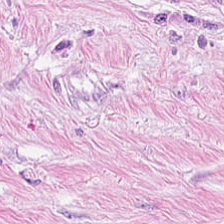Stain: H&E-stained tissue section.
Acquisition: WSI patch.
Tile size: 224×224 pixel tile.
Predominant tissue: cancer-associated stroma.
